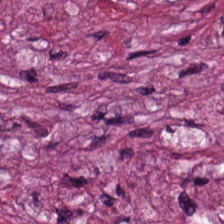Stain: H&E.
Acquisition: WSI patch.
Predominant tissue: cancer-associated stroma.
